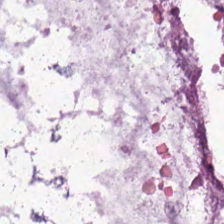20× equivalent magnification. FFPE tissue section. H&E. Predominantly mucin.
